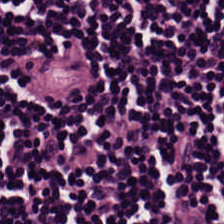H&E stain. 224×224 px tile.
The predominant tissue is lymphoid infiltrate.
